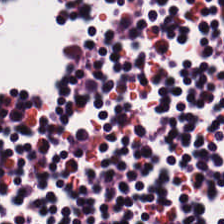H&E-stained tissue section.
Q: What type of tissue is this?
A: Lymphocytic infiltrate.
